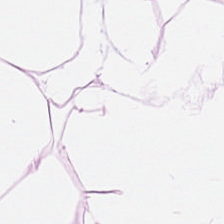H&E — Fat tissue.
